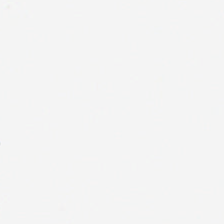FFPE; H&E. Q: What does this patch show?
A: It is no tissue.
